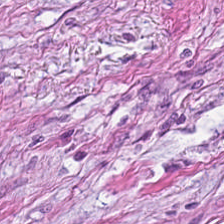0.5 microns per pixel. H&E stain — Showing desmoplastic stroma.
